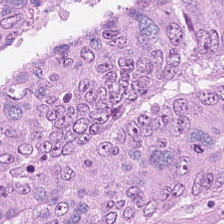H&E — Tissue: tumor epithelium.
